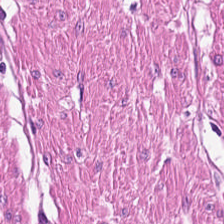Hematoxylin-and-eosin stained section — Q: What tissue is shown?
A: Smooth muscle.
